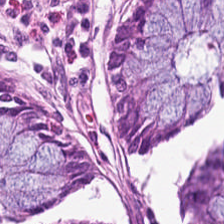H&E. This patch shows normal colonic mucosa.
